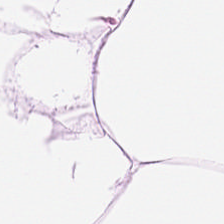Stain: H&E-stained tissue section.
Tissue: adipocytes.
